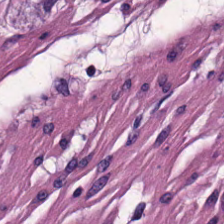Hematoxylin-and-eosin stained section.
Impression — smooth-muscle tissue.
